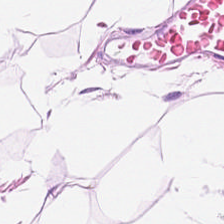Stain: H&E-stained tissue section.
Acquisition: whole-slide-image patch.
Predominant tissue: adipose tissue.
